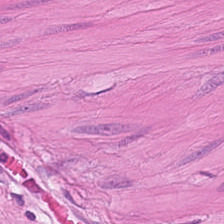Finding → smooth muscle.
